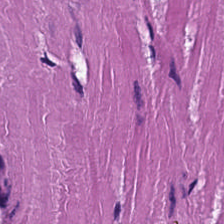Stain: H&E stain.
Tile size: 224×224 px tile.
Resolution: 0.5 microns per pixel.
Tissue class: smooth muscle.
